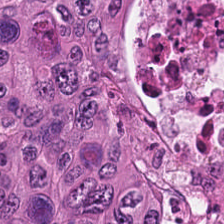20× equivalent magnification; H&E; brightfield microscopy — Predominantly malignant epithelium.
